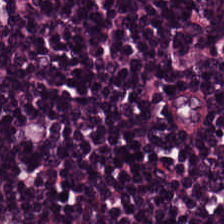H&E-stained tissue section. The predominant tissue is lymphocyte aggregate.
